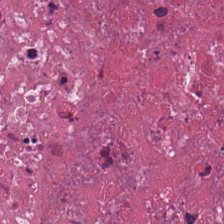H&E-stained tissue section showing cellular debris.
